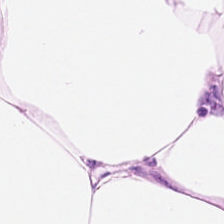Hematoxylin and eosin · whole-slide-image patch. Impression — adipose.
